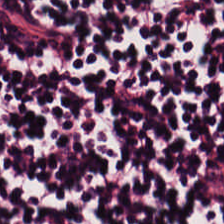224×224 px tile. H&E stain. 0.5 microns per pixel.
The tissue class is lymphocyte aggregate.
